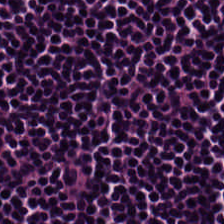Hematoxylin and eosin — Predominantly lymphocytic infiltrate.
